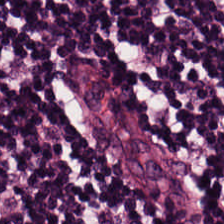Hematoxylin-and-eosin stained section · brightfield · 20× equivalent magnification. Lymphocytes.
